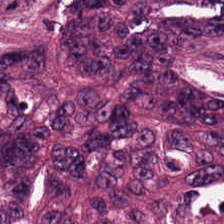Showing malignant epithelium.
